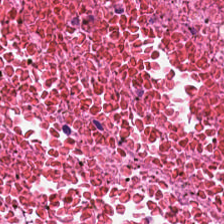Stain: H&E.
Preparation: formalin-fixed paraffin-embedded section.
Resolution: 0.5 µm per pixel.
Tissue: necrotic debris.
